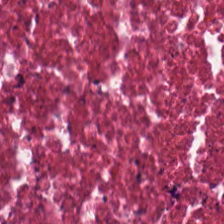H&E stain · 224×224 px patch.
The predominant tissue is cellular debris.
